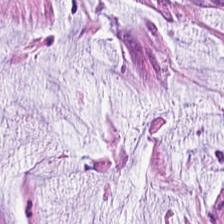Hematoxylin-and-eosin stained section.
The tissue here is mucus.
